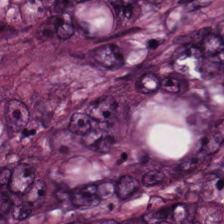Q: What tissue is shown?
A: It is malignant epithelium.
